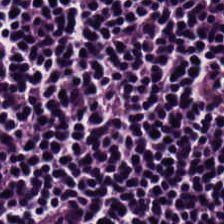WSI patch; FFPE; hematoxylin and eosin — Predominant tissue = lymphocytic infiltrate.
